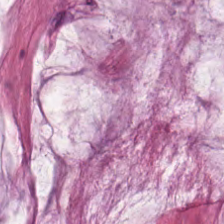H&E. 224×224 px tile — The tissue here is mucus.
